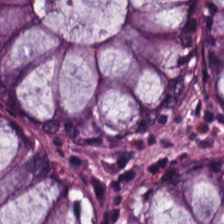H&E stain — {"tissue_type": "normal colonic mucosa"}
